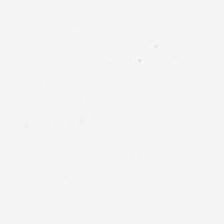Hematoxylin and eosin. FFPE. Whole-slide-image patch.
Background — no tissue in this field.
